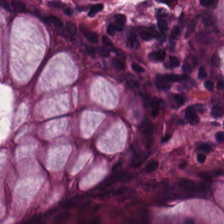Tissue type — non-neoplastic colon mucosa.
